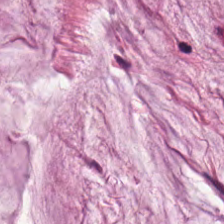Hematoxylin and eosin.
Predominant tissue = mucus.
